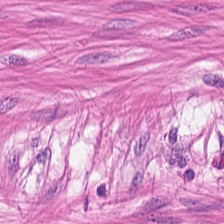0.5 µm/px · formalin-fixed paraffin-embedded section · H&E-stained tissue section.
This patch shows smooth-muscle tissue.
